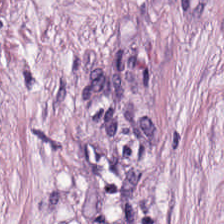H&E-stained tissue section · 224×224 px patch · 0.5 µm/px — Classification — tumor-associated stroma.
